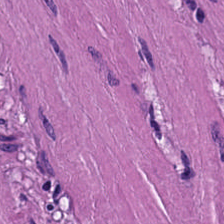H&E.
Predominantly smooth-muscle tissue.
